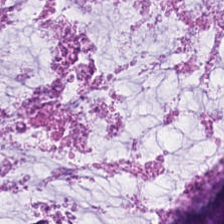Classification = mucin.
